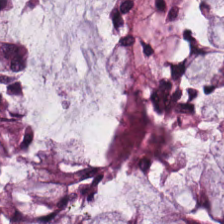H&E stain — This field is non-neoplastic colon mucosa.
